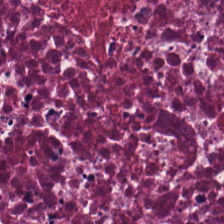H&E stain — Q: What is the predominant tissue type?
A: Cellular debris.
